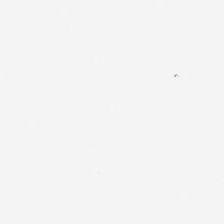Content — background.
